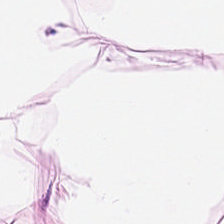H&E stain. Tissue class = adipose tissue.
